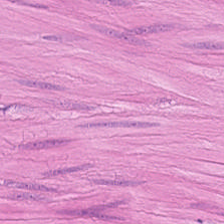Q: What is shown here?
A: Smooth-muscle tissue.
